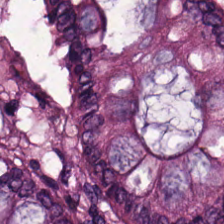224×224 px patch; hematoxylin-and-eosin stained section. Q: Classify this patch.
A: The field shows non-neoplastic colon mucosa.
